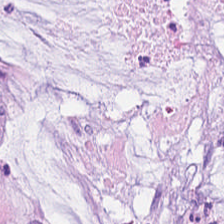H&E. Tissue class: mucus.
